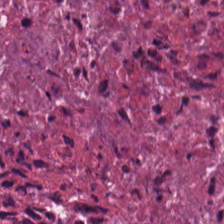Stain: hematoxylin and eosin.
Tissue: debris.
